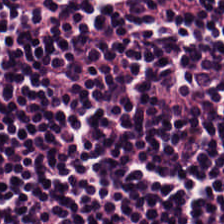224×224 px tile. Hematoxylin and eosin.
The tissue here is lymphocyte aggregate.
